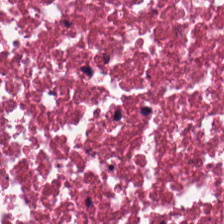H&E stain. Q: Identify the tissue.
A: Necrotic debris.
